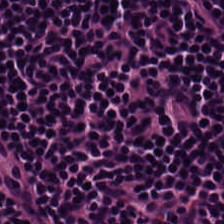Hematoxylin and eosin; FFPE tissue section.
Showing lymphocyte aggregate.
